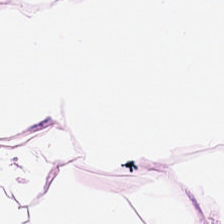0.5 µm per pixel; FFPE; H&E-stained tissue section — Classification = adipose tissue.
